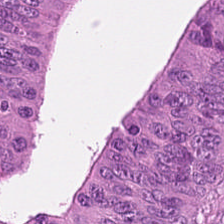H&E-stained tissue section.
Malignant epithelium.
